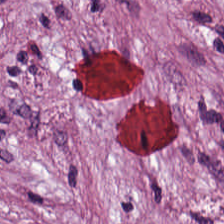H&E-stained section; the field shows tumor stroma.
